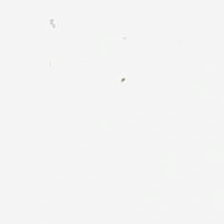Stain: hematoxylin and eosin.
Content: background (no tissue).
